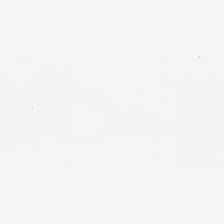Hematoxylin and eosin. This field is background (no tissue).
